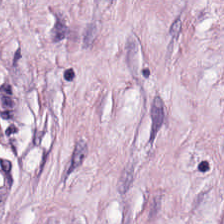H&E. Whole-slide-image patch.
Q: What tissue is shown?
A: It is cancer-associated stroma.
